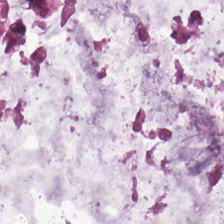224×224 px patch; H&E; 0.5 µm per pixel. The tissue here is mucus.
